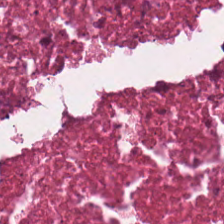Hematoxylin and eosin.
Impression — debris.
